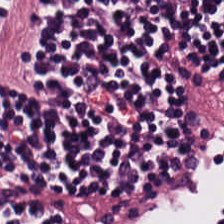H&E-stained tissue section. Histology — lymphocyte aggregate.
